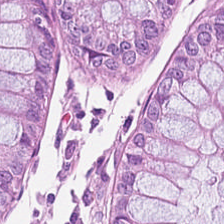H&E stain.
Predominant tissue = normal colon mucosa.
